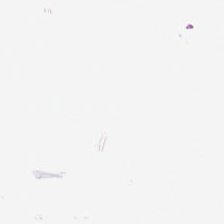H&E.
Classification = background.
